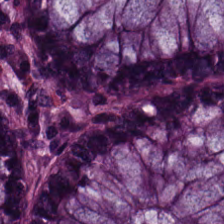FFPE tissue section · H&E. Q: What is shown in this field?
A: Normal colon mucosa.
